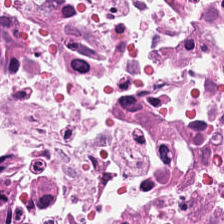H&E.
This patch shows debris.
